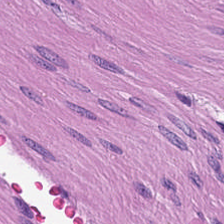Hematoxylin-and-eosin stained section; WSI patch.
The predominant tissue is muscularis.
